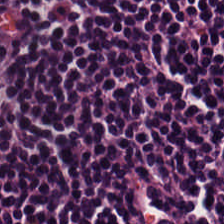This patch shows lymphocytes.
